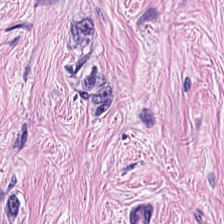224×224 px patch; hematoxylin-and-eosin stained section; FFPE tissue section.
Tissue type: desmoplastic stroma.
